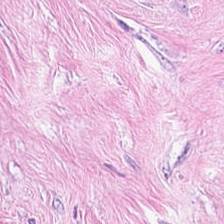Hematoxylin-and-eosin stained section. 224×224 px tile. 20× equivalent magnification.
Impression — tumor-associated stroma.
